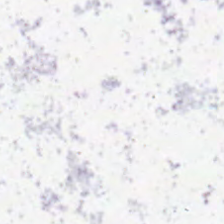H&E — This field is background (no tissue).
